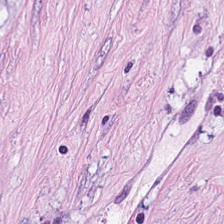H&E — The tissue here is tumor stroma.
